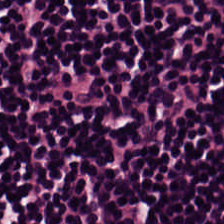Hematoxylin and eosin. Lymphocytic infiltrate.
